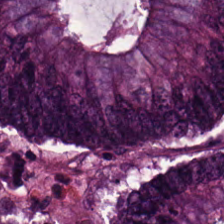H&E stain. This patch shows tumor epithelium.
